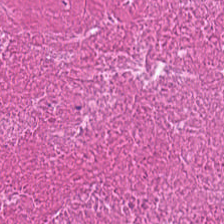Brightfield. Hematoxylin and eosin.
Classification — cellular debris.
